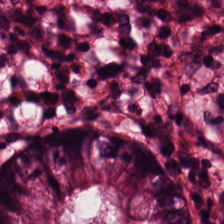Hematoxylin and eosin. FFPE tissue section. This patch shows benign colonic mucosa.
